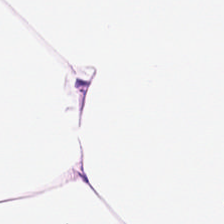Hematoxylin-and-eosin stained section — Q: What tissue is shown?
A: This is adipose tissue.
